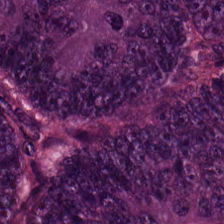H&E — The predominant tissue is tumor epithelium.
